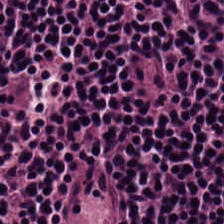H&E-stained tissue section.
Q: What type of tissue is this?
A: This is lymphoid infiltrate.
